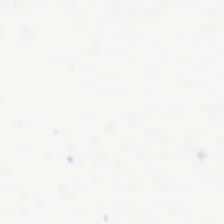Q: What does this patch show?
A: It is no tissue.
